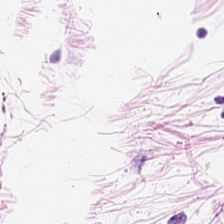Hematoxylin-and-eosin stained section; 224×224 pixel tile.
The tissue is adipocytes.
